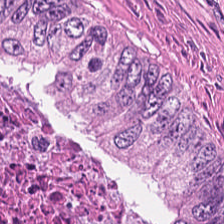Hematoxylin and eosin.
This field is debris.
